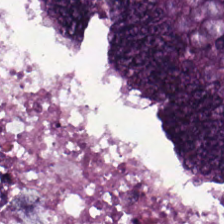H&E stain. Tissue class — tumor epithelium.
